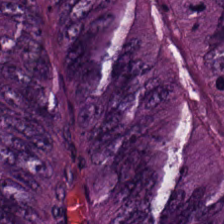Hematoxylin and eosin.
Predominant tissue: tumor epithelium.
